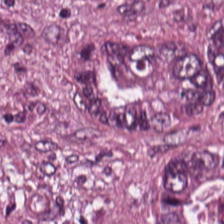Tissue — adenocarcinoma.
